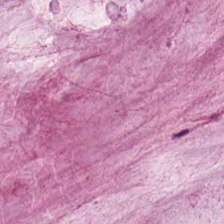H&E-stained tissue section · 224×224 px patch.
Q: What is the predominant tissue type?
A: This is mucus.
